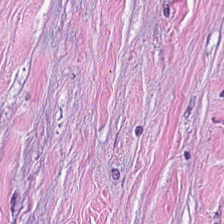H&E stain — The tissue type is tumor stroma.
